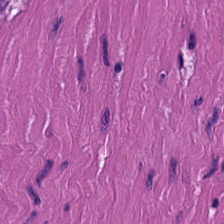Hematoxylin and eosin — Histology → smooth muscle.
